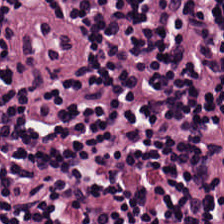Hematoxylin-and-eosin stained section. The predominant tissue is lymphocytic infiltrate.
